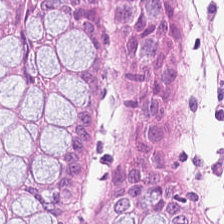H&E — Impression → non-neoplastic colon mucosa.
